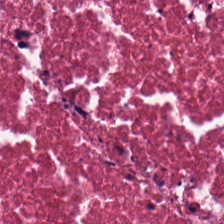Cellular debris.
